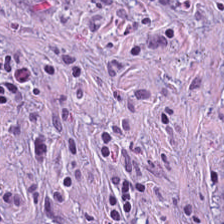H&E-stained tissue section — Predominant tissue: cancer-associated stroma.
